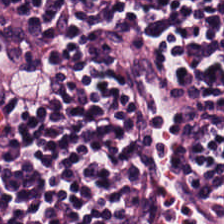Tissue type = lymphocytes.
